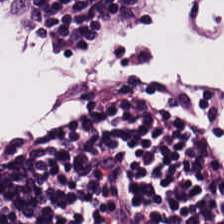Stain: hematoxylin-and-eosin stained section.
Predominant tissue: lymphoid infiltrate.
